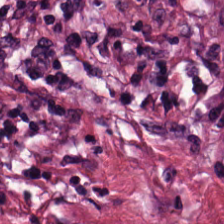Hematoxylin-and-eosin section: cancer-associated stroma.
